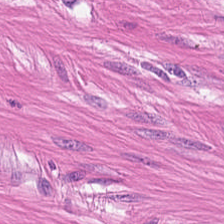H&E. This patch shows smooth-muscle tissue.
